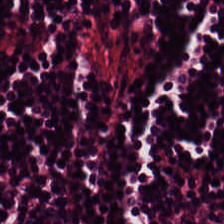Tissue class — lymphocyte aggregate.
